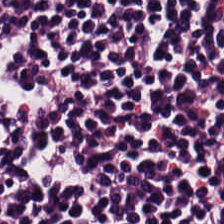WSI patch. H&E stain. 224×224 pixel tile.
Predominant tissue — lymphocytes.
